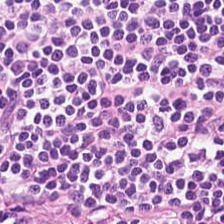Hematoxylin and eosin; FFPE — Q: What tissue type is shown here?
A: It is lymphocytes.
